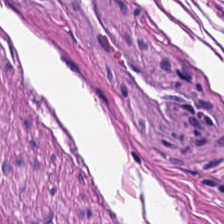Hematoxylin and eosin. 224×224 px patch. Tissue: smooth muscle.
